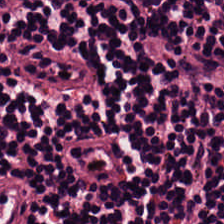Stain: H&E-stained tissue section.
Acquisition: brightfield.
Preparation: formalin-fixed paraffin-embedded section.
Classification: lymphocytes.
